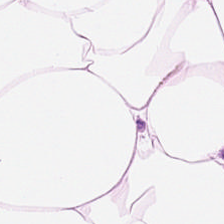0.5 µm per pixel. H&E stain.
Tissue — fat tissue.
